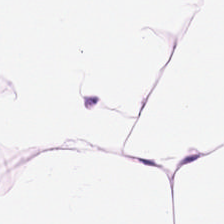H&E-stained tissue section.
Finding → fat tissue.
